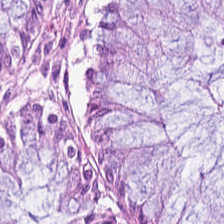Tissue type: benign colonic mucosa.
